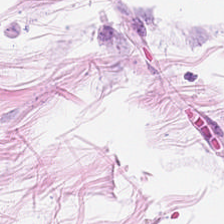Hematoxylin-and-eosin stained section; whole-slide-image patch — Tissue type = adipose.
